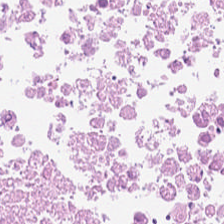Stain: H&E stain.
Preparation: FFPE.
Tissue class: necrotic debris.
